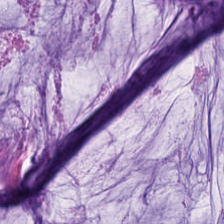FFPE · H&E-stained tissue section. Q: What is shown here?
A: Mucus.
